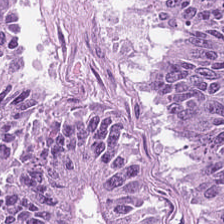FFPE. Hematoxylin and eosin — Tissue type = adenocarcinoma.
